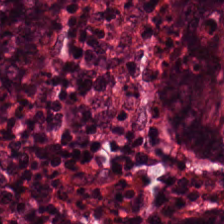224×224 px tile · H&E — Impression — non-neoplastic colon mucosa.
